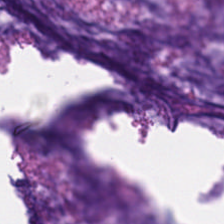H&E-stained tissue section; formalin-fixed paraffin-embedded section — Mucin.
